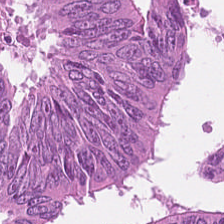Hematoxylin and eosin — Tissue type — colorectal adenocarcinoma.
